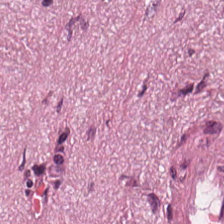H&E stain — The tissue class is tumor-associated stroma.
